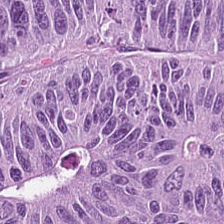Hematoxylin and eosin. 224×224 pixel tile.
Tissue = colorectal adenocarcinoma epithelium.
